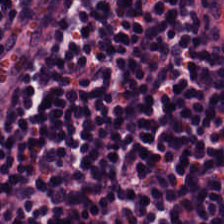H&E-stained tissue section.
Tissue type — lymphocytic infiltrate.
